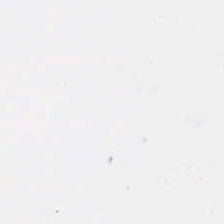Q: What is shown in this field?
A: It is empty background.
